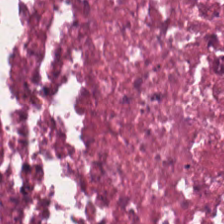H&E. Q: What tissue type is shown here?
A: Cellular debris.
